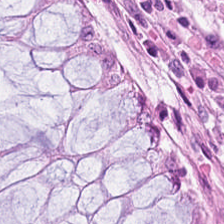Impression — normal colonic mucosa.
